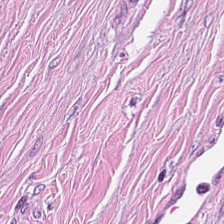H&E stain; 20× equivalent magnification. Q: What tissue is shown?
A: This is desmoplastic stroma.
